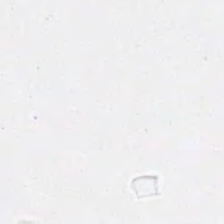FFPE tissue section; H&E stain — Classification — background (no tissue).
